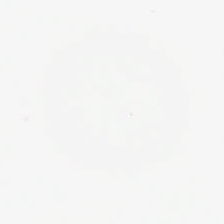224×224 px tile; hematoxylin-and-eosin stained section. Field content = empty background.
